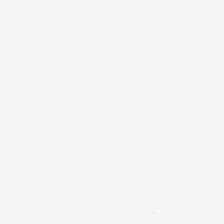H&E-stained tissue section — {"content": "background"}
